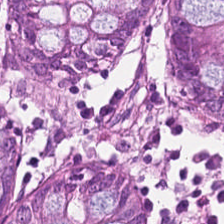Hematoxylin and eosin · FFPE · 224×224 px patch.
Tissue class = normal colon mucosa.
